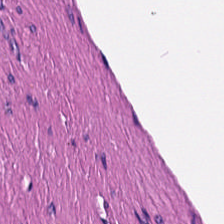Impression → smooth muscle.
